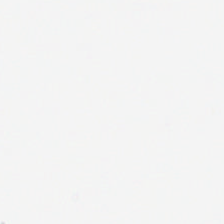Histology → no tissue.
